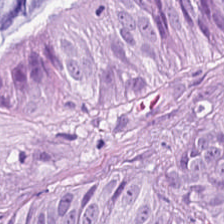H&E-stained tissue section. 0.5 microns per pixel. 224×224 px patch. Tissue: tumor epithelium.
